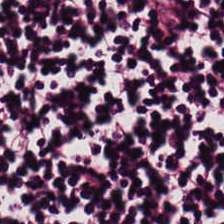FFPE · H&E stain — Q: Identify the tissue.
A: The field shows lymphoid infiltrate.
